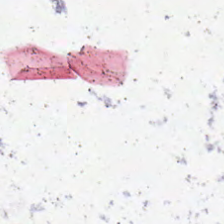H&E-stained tissue section. Classification = empty background.
